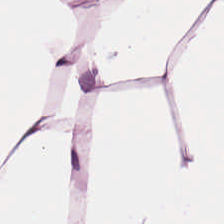Whole-slide-image patch. Hematoxylin and eosin.
Q: What is the predominant tissue type?
A: The field shows adipose tissue.
